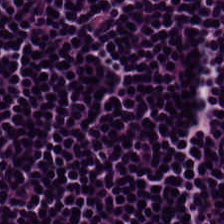Hematoxylin and eosin. This patch shows lymphocyte aggregate.
